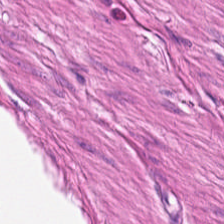H&E-stained tissue section. Q: Identify the tissue.
A: The field shows smooth-muscle tissue.
